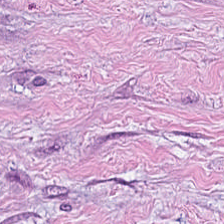H&E stain.
Q: What does this patch show?
A: It is cancer-associated stroma.
